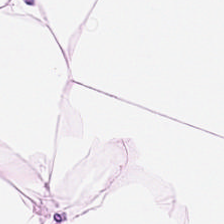H&E. Histology — fat tissue.
